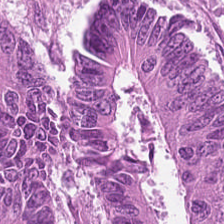Whole-slide-image patch; hematoxylin and eosin. Predominant tissue: malignant epithelium.
